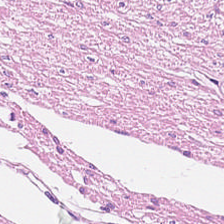H&E-stained tissue section · brightfield · FFPE tissue section.
Q: What type of tissue is this?
A: This is smooth muscle.
